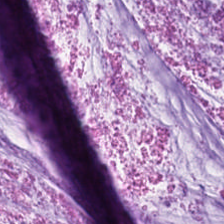H&E stain. Predominant tissue = mucin.
